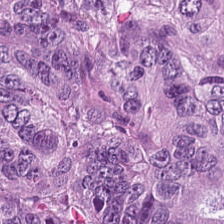Stain: H&E.
Predominant tissue: malignant epithelium.
